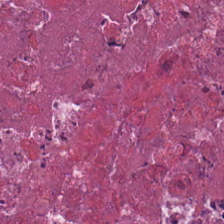Hematoxylin-and-eosin stained section — Impression → cellular debris.
